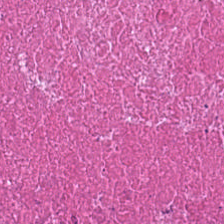Q: Classify this patch.
A: It is cellular debris.
